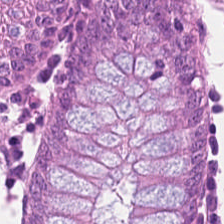Stain: hematoxylin-and-eosin stained section.
Tissue: normal colonic mucosa.
